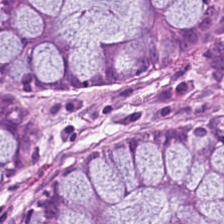Stain: H&E-stained tissue section.
Predominant tissue: non-neoplastic colon mucosa.
